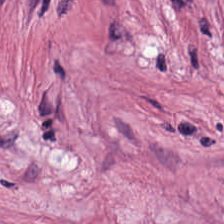H&E. FFPE — Q: What is shown here?
A: The field shows desmoplastic stroma.
